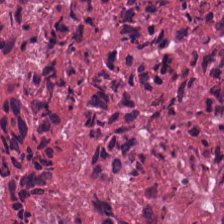Stain: H&E.
Predominant tissue: necrotic debris.
